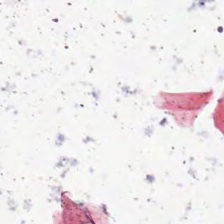H&E. This patch shows empty background.
